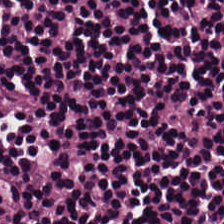Predominant tissue: lymphocytes.
